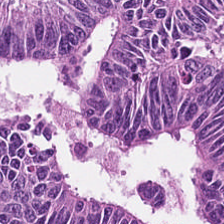Stain: hematoxylin and eosin.
Preparation: FFPE.
Tissue type: adenocarcinoma.
